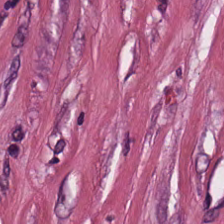H&E-stained tissue section showing tumor-associated stroma.
